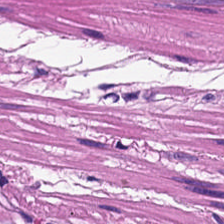0.5 µm/px · 224×224 px patch · H&E. Histology → smooth-muscle tissue.
